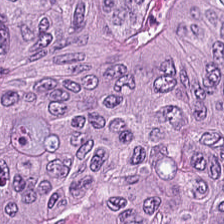0.5 µm/px; H&E stain — The tissue here is colorectal adenocarcinoma.
